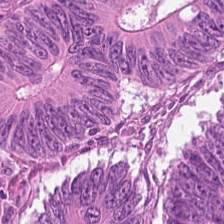Q: What is shown here?
A: This is malignant epithelium.
